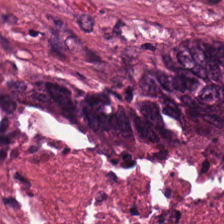Stain: H&E stain.
Classification: cellular debris.
